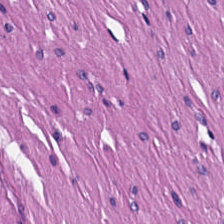224×224 px tile; hematoxylin-and-eosin stained section — Tissue type — smooth-muscle tissue.
